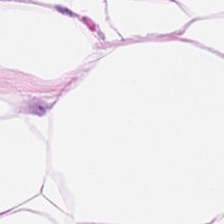H&E stain. 224×224 pixel tile.
Tissue class: adipose tissue.
